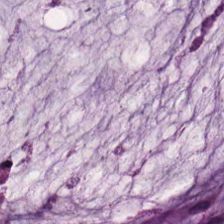Predominant tissue — mucus.
